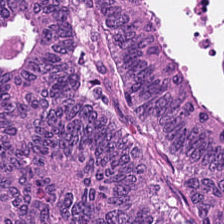Hematoxylin and eosin — Predominant tissue — tumor epithelium.
